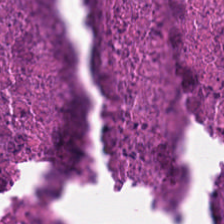Hematoxylin-and-eosin stained section — The tissue class is cellular debris.
